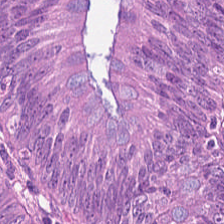224×224 px tile; H&E stain.
Finding → malignant epithelium.
